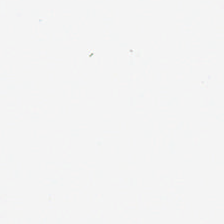Hematoxylin and eosin.
Background — no tissue in this field.
